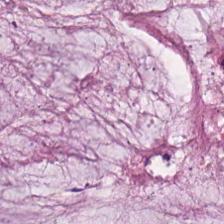H&E — extracellular mucin.
